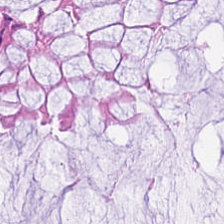Hematoxylin-and-eosin stained section; brightfield microscopy — The predominant tissue is normal colonic mucosa.
